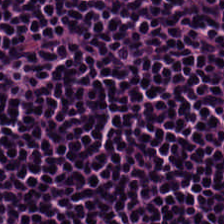0.5 µm/px · hematoxylin-and-eosin stained section · brightfield microscopy. Showing lymphocytic infiltrate.
